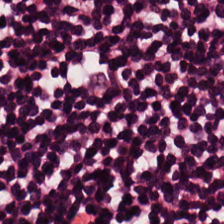Hematoxylin-and-eosin stained section — {"tissue_type": "lymphocyte aggregate"}
